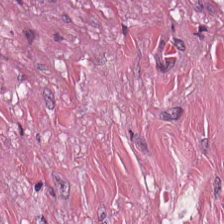Stain: H&E.
Tile size: 224×224 px patch.
Tissue: tumor-associated stroma.
